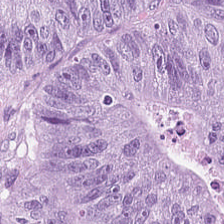H&E-stained tissue section.
{"tissue_type": "tumor epithelium"}
